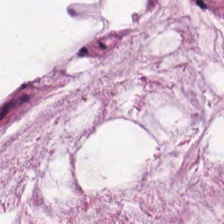Histology — extracellular mucin.
